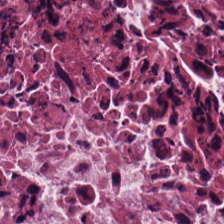H&E-stained tissue section — The tissue type is debris.
